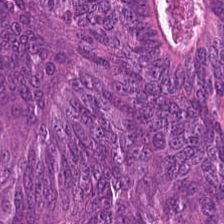H&E stain — Q: What is the predominant tissue type?
A: The field shows adenocarcinoma.
